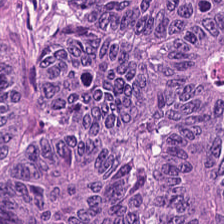Whole-slide-image patch; hematoxylin-and-eosin stained section. Impression → adenocarcinoma.
